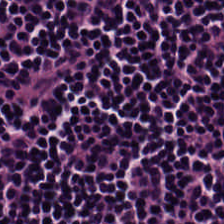Hematoxylin and eosin. The tissue class is lymphocytes.
